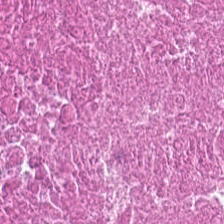224×224 px tile. H&E stain — Predominantly necrotic debris.
